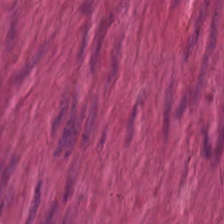The tissue is muscularis.
